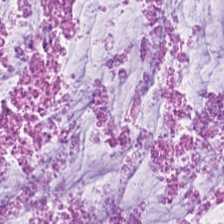H&E-stained tissue section; whole-slide-image patch.
{"tissue_type": "extracellular mucin"}
